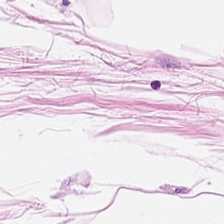Formalin-fixed paraffin-embedded section; H&E-stained tissue section — This field is adipose.
